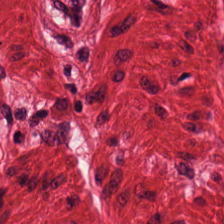This field is smooth-muscle tissue.
